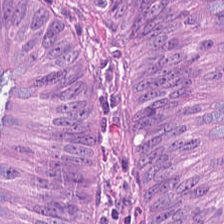H&E stain — Predominant tissue — tumor epithelium.
